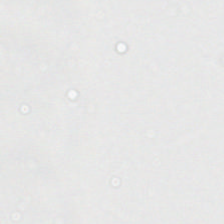H&E-stained tissue section. Content = no tissue.
